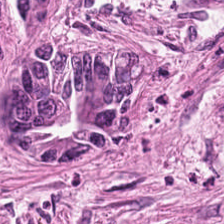H&E.
Malignant epithelium.
